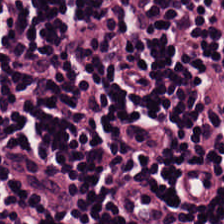Hematoxylin and eosin.
This patch shows lymphocytes.
